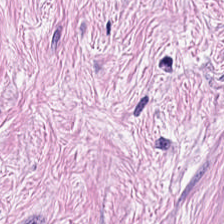Hematoxylin-and-eosin stained section. Q: What is the predominant tissue type?
A: Desmoplastic stroma.
